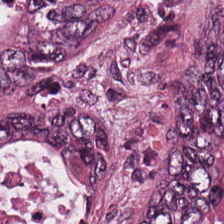Hematoxylin-and-eosin stained section.
Tissue — colorectal adenocarcinoma epithelium.
